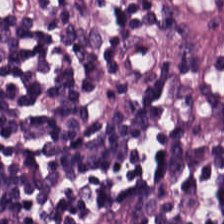H&E — lymphoid infiltrate.
